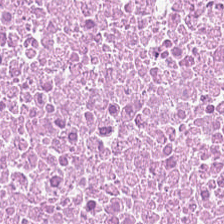Hematoxylin and eosin — The predominant tissue is debris.
